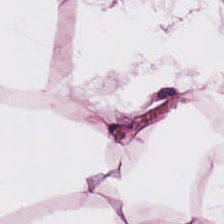Fat tissue.
